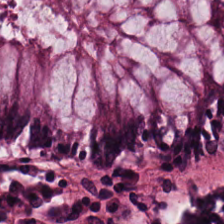H&E-stained tissue section. Benign colonic mucosa.
